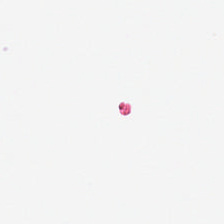H&E.
Background (no tissue).
